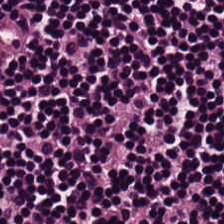The tissue type is lymphocytic infiltrate.
